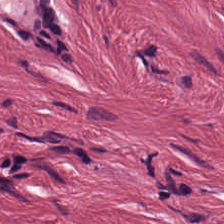H&E-stained tissue section showing cancer-associated stroma.
